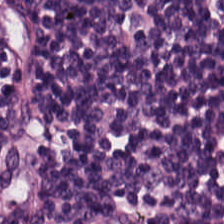Hematoxylin-and-eosin stained section; 224×224 px tile — Lymphocytes.
